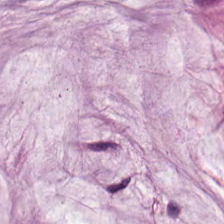Stain: hematoxylin-and-eosin stained section.
Tissue type: mucin.
